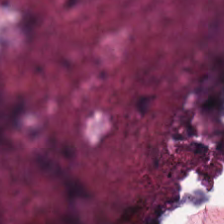Stain: H&E-stained tissue section.
Tissue class: debris.
